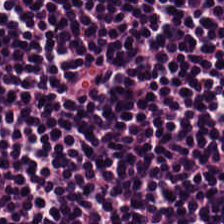H&E-stained tissue section. This field is lymphocytes.
